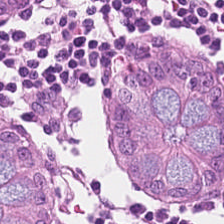H&E stain; 0.5 µm/px — Non-neoplastic colon mucosa.
